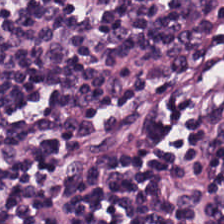Hematoxylin and eosin. 224×224 pixel tile — Q: Identify the tissue.
A: The field shows lymphocytes.
